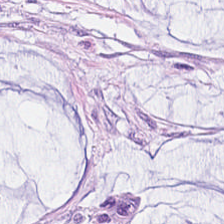H&E-stained tissue section · 0.5 µm/px · FFPE tissue section — The tissue here is mucus.
